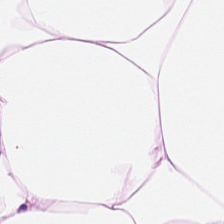Hematoxylin-and-eosin stained section — Predominantly adipose.
